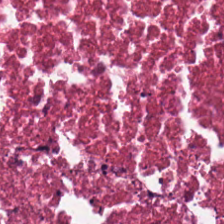Stain: H&E.
Tissue class: necrotic debris.
